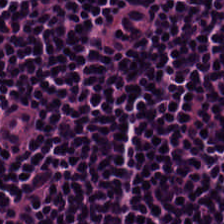224×224 px tile. H&E-stained tissue section. 0.5 microns per pixel — The tissue here is lymphocytic infiltrate.
